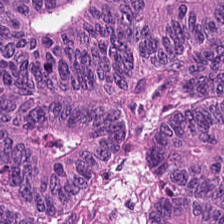Stain: hematoxylin-and-eosin stained section.
Tissue: malignant epithelium.
